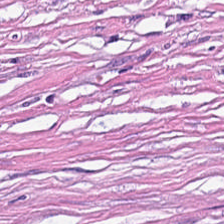Hematoxylin-and-eosin stained section.
The tissue here is tumor stroma.
